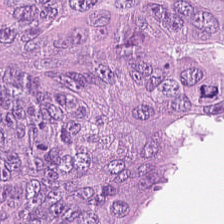Formalin-fixed paraffin-embedded section · H&E-stained tissue section.
Showing colorectal adenocarcinoma epithelium.
